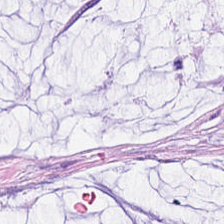FFPE tissue section; hematoxylin-and-eosin stained section; 224×224 px patch.
Tissue — mucin.
